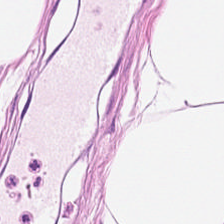Formalin-fixed paraffin-embedded section; hematoxylin-and-eosin stained section. Q: What tissue is shown?
A: Fat tissue.
